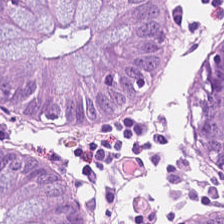Classification = non-neoplastic colon mucosa.
